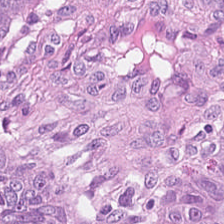H&E. 0.5 µm/px — Predominant tissue: colorectal adenocarcinoma.
